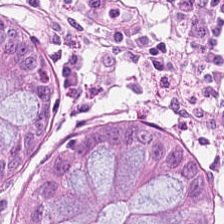H&E — The classification is normal colonic mucosa.
